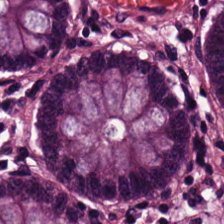Stain: H&E stain.
Tissue type: normal colonic mucosa.
